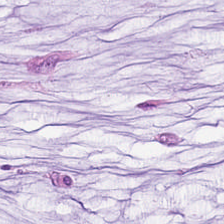H&E-stained tissue section.
Predominantly mucin.
